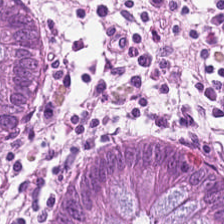{"tissue_type": "benign colonic mucosa"}
